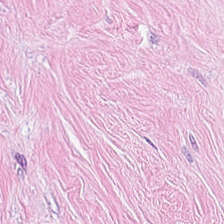Hematoxylin and eosin · 20× equivalent magnification · brightfield — Q: What type of tissue is this?
A: Tumor-associated stroma.
